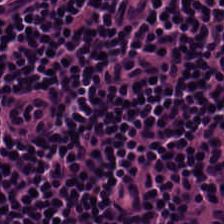Stain: H&E.
Tissue: lymphocyte aggregate.
